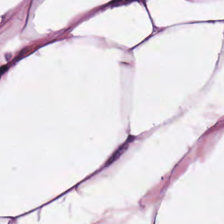H&E-stained section; the field shows adipocytes.
